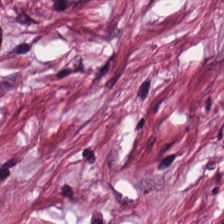Stain: H&E-stained tissue section.
Preparation: FFPE.
Tile size: 224×224 px patch.
Predominant tissue: tumor stroma.
